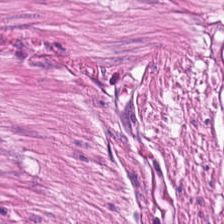H&E. The tissue here is smooth muscle.
